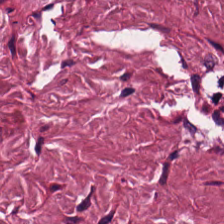Impression — tumor stroma.
